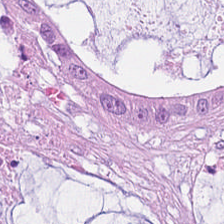Hematoxylin and eosin.
Mucin.
